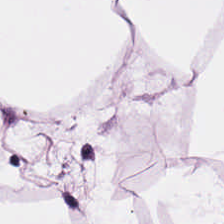Hematoxylin and eosin.
The predominant tissue is adipose.
